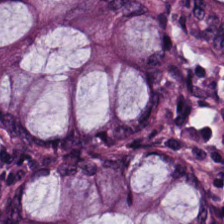WSI patch. 0.5 microns per pixel. H&E — Showing normal colon mucosa.
